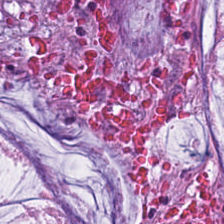Hematoxylin-and-eosin stained section · 224×224 px tile.
Tissue type = mucus.
